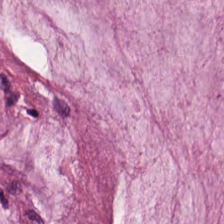Q: What tissue is shown?
A: The field shows mucus.
